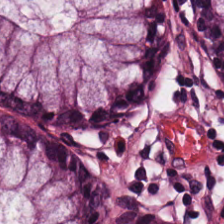Hematoxylin-and-eosin stained section.
Tissue type — normal colonic mucosa.
